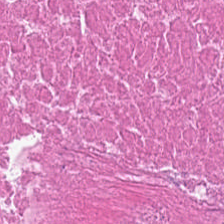Hematoxylin and eosin — The tissue here is cellular debris.
